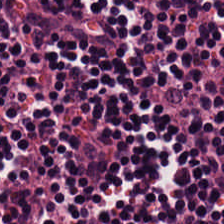The predominant tissue is lymphocytic infiltrate.
